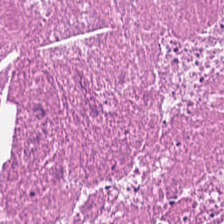0.5 microns per pixel · H&E-stained tissue section.
Q: What is shown here?
A: This is debris.
